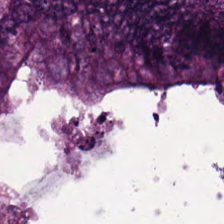This field is malignant epithelium.
